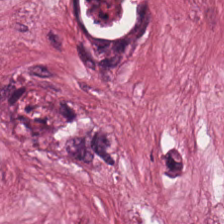H&E-stained tissue section; 20× equivalent magnification — The predominant tissue is cancer-associated stroma.
